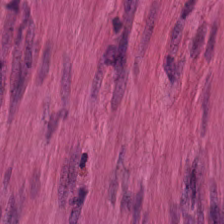224×224 pixel tile; brightfield; H&E-stained tissue section — This field is muscularis.
